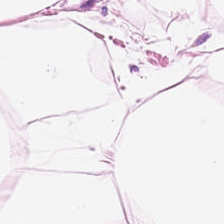Q: Classify this patch.
A: This is adipose.
